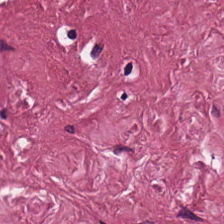Stain: hematoxylin-and-eosin stained section.
Resolution: 0.5 µm/px.
Preparation: FFPE.
Tissue: cancer-associated stroma.
